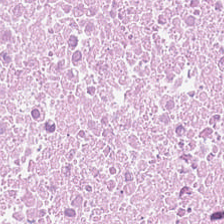Q: What type of tissue is this?
A: It is necrotic debris.
